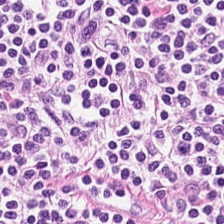WSI patch. Hematoxylin and eosin. Showing lymphocytic infiltrate.
